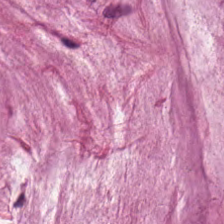Stain: hematoxylin-and-eosin stained section.
Acquisition: whole-slide-image patch.
Tissue type: mucus.
